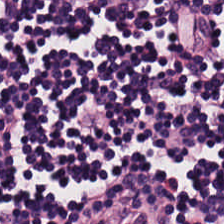Predominantly lymphocytes.
